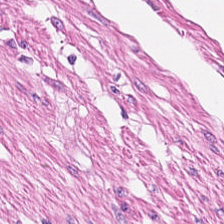Hematoxylin-and-eosin stained section. 224×224 px tile. Predominantly muscularis.
